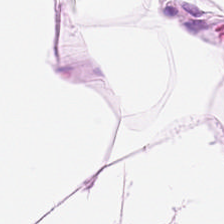Stain: hematoxylin and eosin.
Tissue class: fat tissue.
